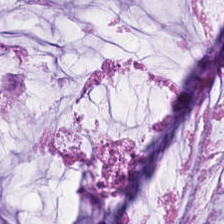Stain: hematoxylin-and-eosin stained section.
Tile size: 224×224 pixel tile.
Acquisition: brightfield.
Tissue: extracellular mucin.
